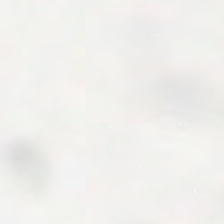Hematoxylin-and-eosin stained section — Background.
